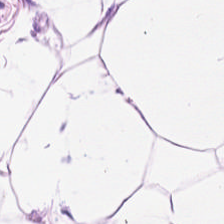Tissue class: adipose tissue.
